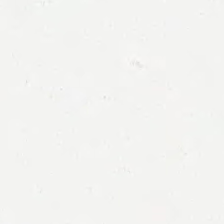H&E-stained tissue section — Content = no tissue.
